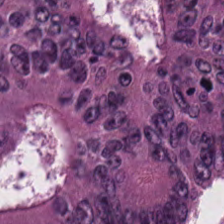FFPE tissue section. H&E.
This patch shows malignant epithelium.
